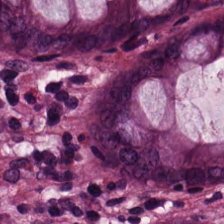Hematoxylin-and-eosin stained section.
This patch shows benign colonic mucosa.
